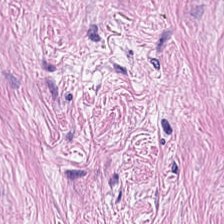H&E patch showing cancer-associated stroma.
